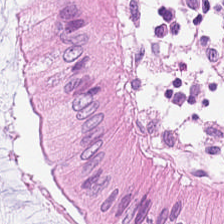Hematoxylin-and-eosin stained section — Tissue class = non-neoplastic colon mucosa.
